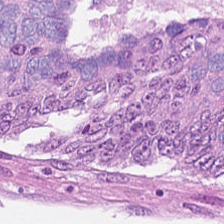H&E stain.
Predominantly tumor epithelium.
